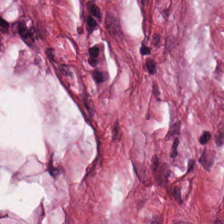Tissue type — cancer-associated stroma.
